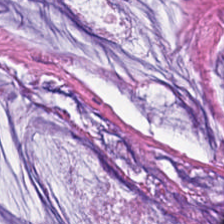Q: What does this patch show?
A: The field shows mucus.
